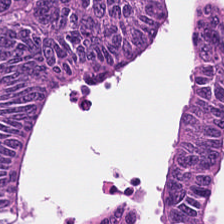224×224 pixel tile · H&E.
This patch shows colorectal adenocarcinoma epithelium.
